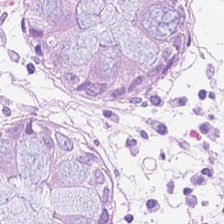FFPE tissue section. 0.5 µm per pixel. H&E. {"tissue_type": "benign colonic mucosa"}
